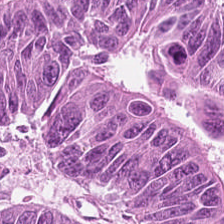Hematoxylin and eosin — The tissue type is adenocarcinoma.
